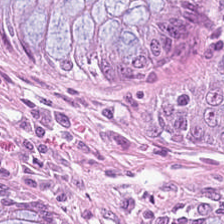Hematoxylin and eosin. Q: Identify the tissue.
A: Benign colonic mucosa.
